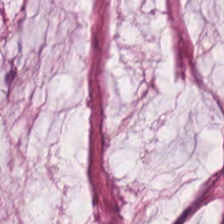Brightfield microscopy · 224×224 px tile · H&E-stained tissue section — Predominant tissue = mucus.
